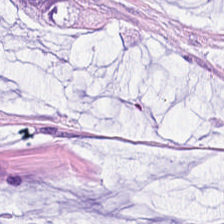The tissue here is mucin.
